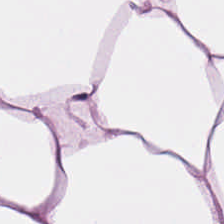H&E-stained tissue section. 224×224 px patch — Q: What tissue is shown?
A: This is adipose.
